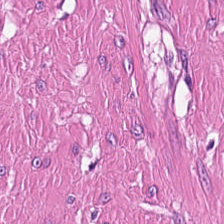Hematoxylin and eosin. The predominant tissue is smooth muscle.
